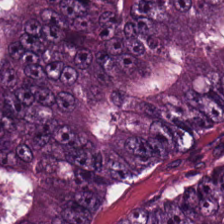Hematoxylin and eosin.
The predominant tissue is adenocarcinoma.
